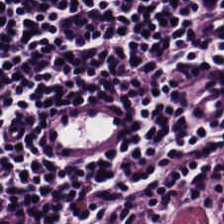Histology → lymphocyte aggregate.
